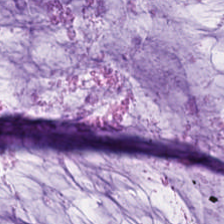Extracellular mucin.
